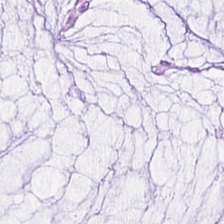H&E-stained tissue section. Q: What does this patch show?
A: It is mucus.
